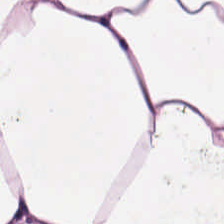H&E — fat tissue.
